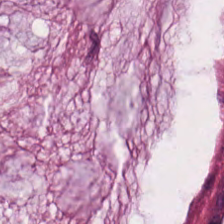H&E — extracellular mucin.
